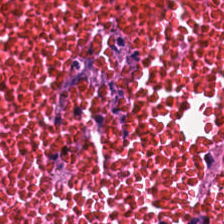Hematoxylin and eosin.
The tissue here is necrotic debris.
